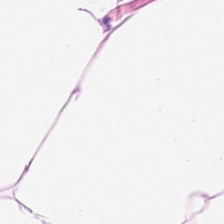This field is fat tissue.
